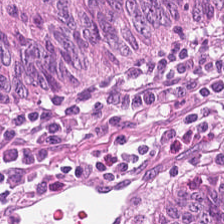The tissue here is colorectal adenocarcinoma.
